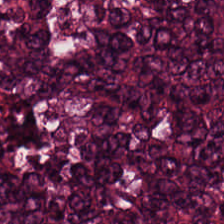Stain: H&E-stained tissue section.
Acquisition: WSI patch.
Tissue class: colorectal adenocarcinoma.
